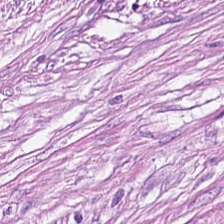H&E. Predominant tissue: tumor-associated stroma.
